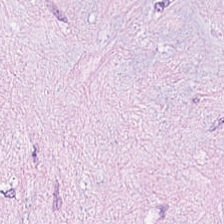FFPE tissue section; H&E-stained tissue section; brightfield — Tumor-associated stroma.
